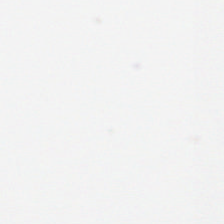Field content = no tissue.
